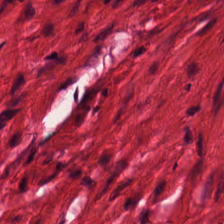Impression → smooth-muscle tissue.
